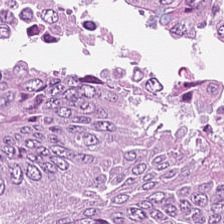Formalin-fixed paraffin-embedded section. Hematoxylin and eosin. The tissue class is colorectal adenocarcinoma epithelium.
